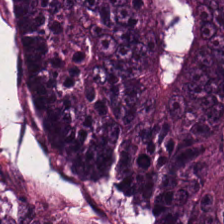H&E-stained tissue section; 224×224 px patch. This patch shows colorectal adenocarcinoma.
